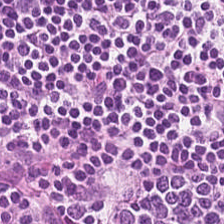Stain: hematoxylin and eosin.
Classification: lymphoid infiltrate.
